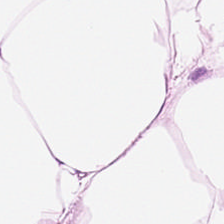Stain: hematoxylin-and-eosin stained section.
Predominant tissue: adipose tissue.
